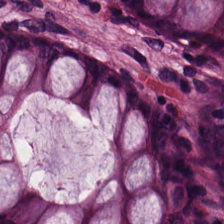This patch shows normal colonic mucosa.
